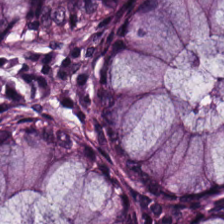H&E-stained tissue section.
Q: What tissue is shown?
A: Normal colon mucosa.
